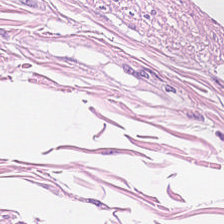Finding — muscularis.
